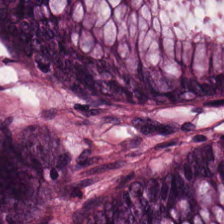Whole-slide-image patch · hematoxylin-and-eosin stained section. Finding — non-neoplastic colon mucosa.
